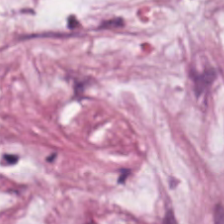Predominant tissue: tumor-associated stroma.
